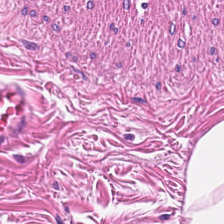H&E-stained tissue section; 0.5 µm/px. The tissue is smooth muscle.
